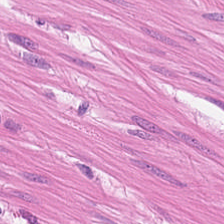Whole-slide-image patch. H&E-stained tissue section. 0.5 microns per pixel. Smooth muscle.
